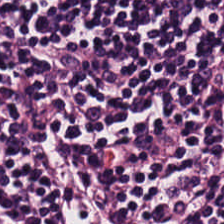The tissue is lymphocyte aggregate.
